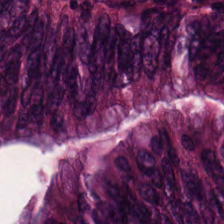Showing adenocarcinoma.
